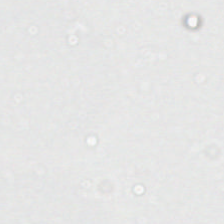H&E. Q: What is shown here?
A: Empty background.
